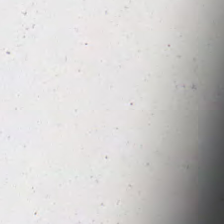224×224 px tile. H&E — Empty field — background.
